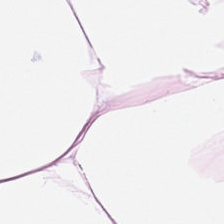H&E.
Finding → adipose tissue.
